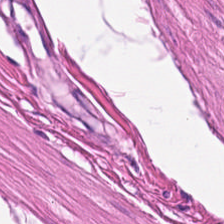Tissue class — smooth-muscle tissue.
